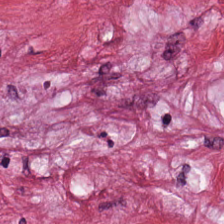H&E patch showing cancer-associated stroma.
